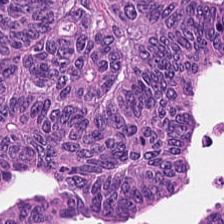H&E-stained tissue section. Predominantly colorectal adenocarcinoma epithelium.
